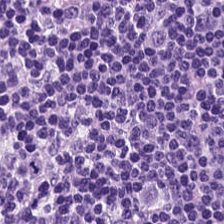Stain: hematoxylin-and-eosin stained section.
Tissue type: lymphocytic infiltrate.
